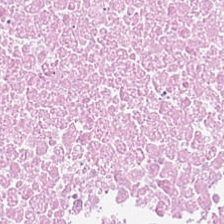H&E · brightfield.
Tissue = debris.
